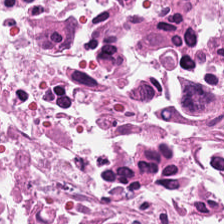H&E — Predominantly cellular debris.
